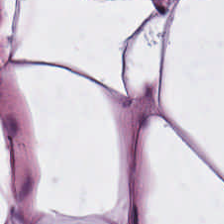Hematoxylin-and-eosin stained section — Classification — adipocytes.
